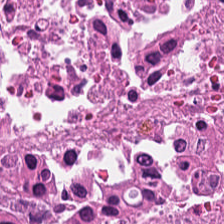Hematoxylin and eosin. {"tissue_type": "necrotic debris"}
